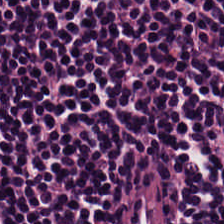H&E stain.
This field is lymphoid infiltrate.
